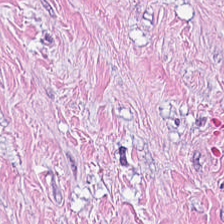0.5 microns per pixel · hematoxylin-and-eosin stained section. The predominant tissue is desmoplastic stroma.
